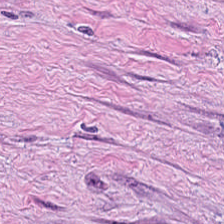20× equivalent magnification. H&E stain. This patch shows tumor stroma.
